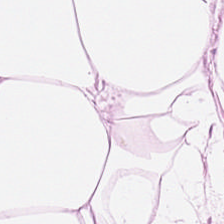Stain: H&E stain.
Preparation: formalin-fixed paraffin-embedded section.
Acquisition: brightfield.
Tissue type: adipose tissue.
